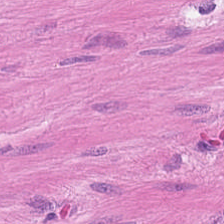Finding → smooth-muscle tissue.
